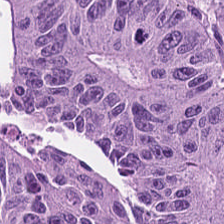H&E.
Tissue: adenocarcinoma.
